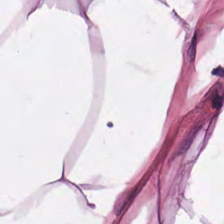Hematoxylin and eosin. Impression → adipocytes.
